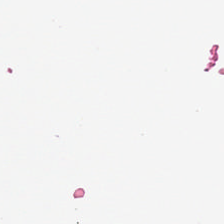Classification — no tissue.
